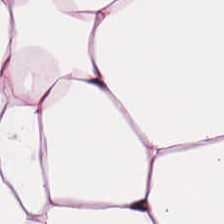Brightfield; hematoxylin and eosin — Finding → adipose.
